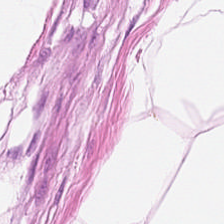The tissue class is fat tissue.
